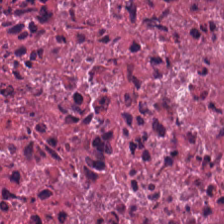H&E stain · 20× equivalent magnification.
Q: What is the predominant tissue type?
A: The field shows necrotic debris.
